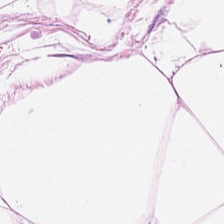The tissue type is adipocytes.
